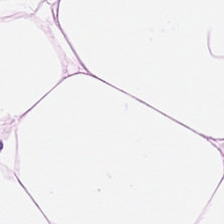Formalin-fixed paraffin-embedded section; hematoxylin-and-eosin stained section.
Tissue type — adipocytes.
